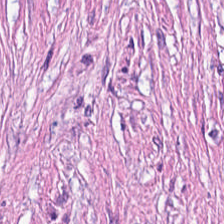224×224 px patch · H&E-stained tissue section. Impression — cancer-associated stroma.
